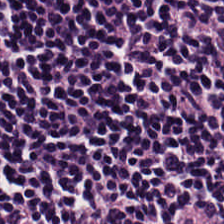20× equivalent magnification; hematoxylin and eosin — Tissue = lymphocyte aggregate.
